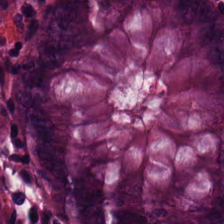0.5 µm/px · H&E-stained tissue section — The predominant tissue is non-neoplastic colon mucosa.
